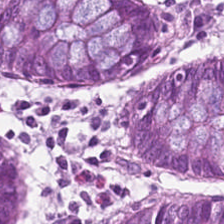H&E; formalin-fixed paraffin-embedded section; brightfield.
Q: What type of tissue is this?
A: This is non-neoplastic colon mucosa.
